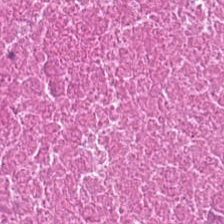H&E stain. Tissue = necrotic debris.
